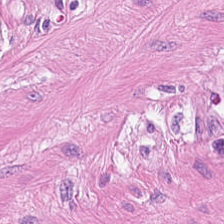H&E-stained tissue section; 224×224 px patch; 0.5 µm per pixel — Smooth muscle.
